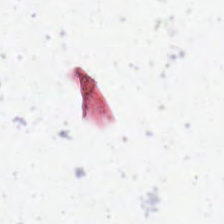Hematoxylin-and-eosin stained section — Background — no tissue in this field.
